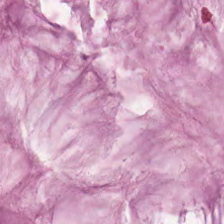Stain: H&E.
Tissue: mucin.
